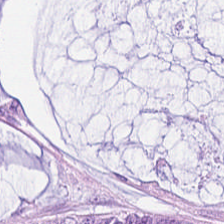Hematoxylin and eosin — The predominant tissue is extracellular mucin.
